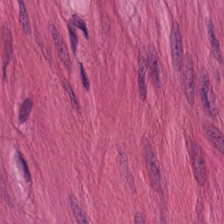Stain: H&E.
Classification: muscularis.
